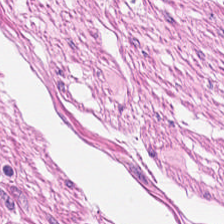Predominantly smooth muscle.
